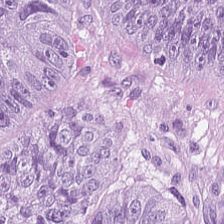Hematoxylin-and-eosin stained section.
Tissue = adenocarcinoma.
